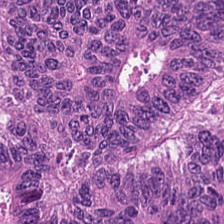H&E-stained tissue section. 224×224 px tile — Q: What does this patch show?
A: The field shows adenocarcinoma.
